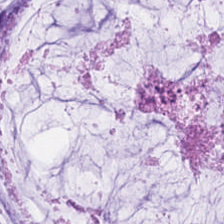H&E-stained section; the field shows mucus.
